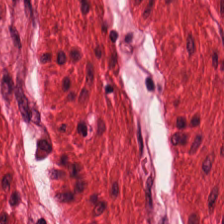Hematoxylin-and-eosin stained section. Whole-slide-image patch — This patch shows muscularis.
